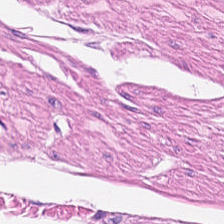Hematoxylin and eosin. Histology — smooth muscle.
